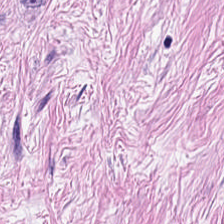Hematoxylin-and-eosin stained section.
This field is tumor-associated stroma.
